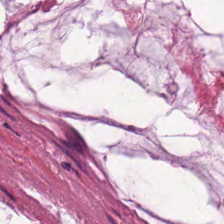Stain: hematoxylin and eosin.
Acquisition: brightfield microscopy.
Tile size: 224×224 px patch.
Classification: extracellular mucin.
